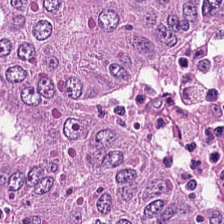Brightfield. 224×224 pixel tile. H&E. Tissue class: tumor epithelium.
